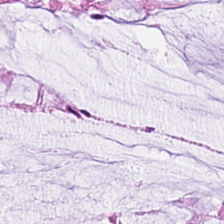H&E stain — This field is normal colonic mucosa.
